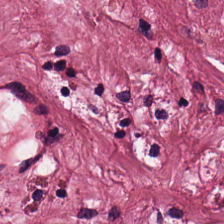224×224 px patch; H&E. Impression — cancer-associated stroma.
